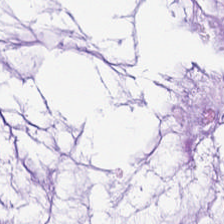H&E stain.
The predominant tissue is extracellular mucin.
